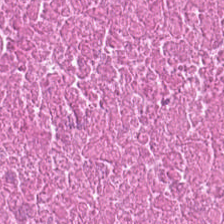H&E · 224×224 pixel tile. Finding → cellular debris.
